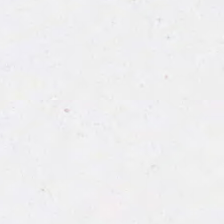This field is background (no tissue).
